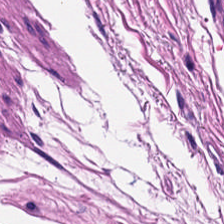H&E — muscularis.
